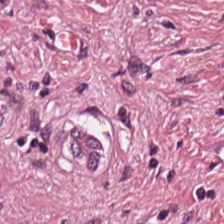0.5 microns per pixel; H&E-stained tissue section — Finding — desmoplastic stroma.
